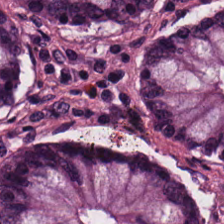Brightfield microscopy; hematoxylin and eosin — Finding → non-neoplastic colon mucosa.
